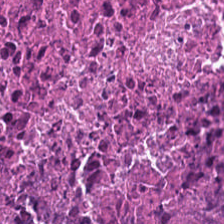Brightfield microscopy; hematoxylin-and-eosin stained section. Tissue type — debris.
